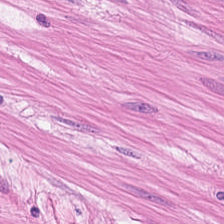Stain: H&E-stained tissue section.
Tile size: 224×224 px tile.
Tissue: muscularis.
